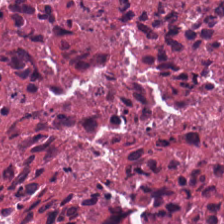Hematoxylin-and-eosin stained section. Q: Identify the tissue.
A: It is necrotic debris.
